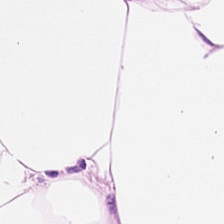H&E stain. Classification: adipose tissue.
